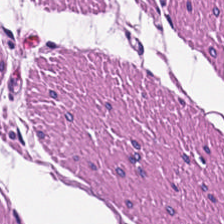Tissue class — smooth-muscle tissue.
